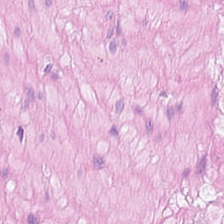FFPE tissue section. Hematoxylin and eosin. Showing muscularis.
